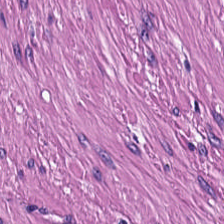H&E stain; formalin-fixed paraffin-embedded section. Q: What is shown here?
A: The field shows smooth-muscle tissue.
